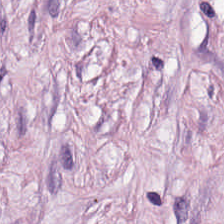H&E — Classification — cancer-associated stroma.
